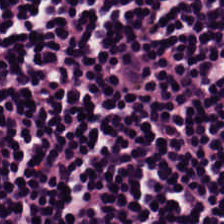Tissue: lymphoid infiltrate.
